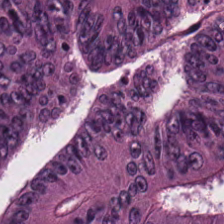Stain: hematoxylin-and-eosin stained section.
Acquisition: whole-slide-image patch.
Tissue class: adenocarcinoma.
